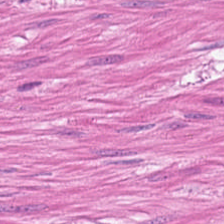Stain: hematoxylin and eosin.
Tissue type: smooth muscle.
